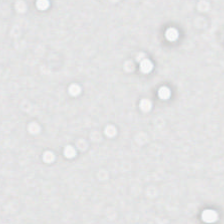FFPE tissue section; hematoxylin and eosin; 224×224 pixel tile — Background — no tissue in this field.
